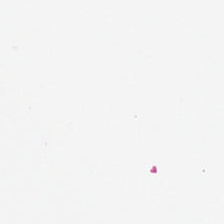Hematoxylin-and-eosin stained section. Brightfield.
Field content = background.
